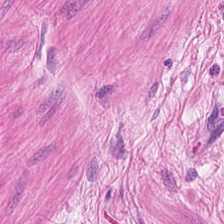H&E · brightfield.
Q: What is shown here?
A: The field shows smooth-muscle tissue.
